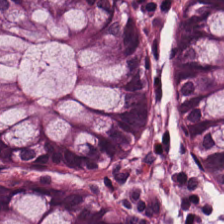Stain: H&E stain.
Acquisition: WSI patch.
Classification: normal colon mucosa.
